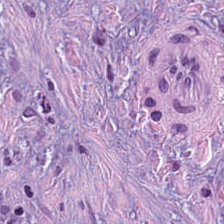Hematoxylin and eosin · FFPE.
Predominantly tumor-associated stroma.
